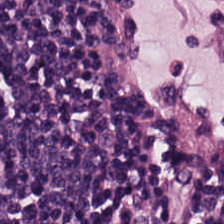H&E stain — Tissue type = lymphocyte aggregate.
